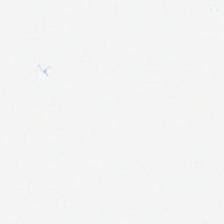Whole-slide-image patch · hematoxylin and eosin. Finding → background.
